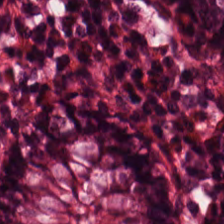H&E-stained tissue section — Q: Classify this patch.
A: The field shows normal colon mucosa.
